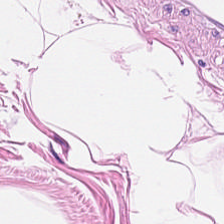0.5 microns per pixel. Hematoxylin and eosin — Predominantly adipose.
